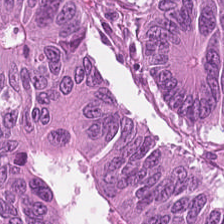Stain: hematoxylin and eosin.
Tissue type: colorectal adenocarcinoma epithelium.
